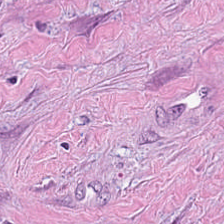Hematoxylin-and-eosin stained section. 224×224 pixel tile.
Q: What does this patch show?
A: Cancer-associated stroma.
